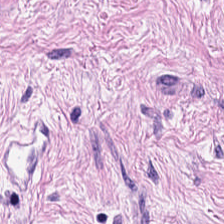Brightfield microscopy. H&E-stained tissue section. Histology — desmoplastic stroma.
